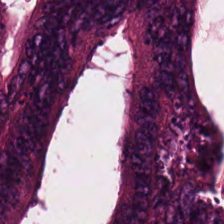H&E stain.
This field is colorectal adenocarcinoma.
